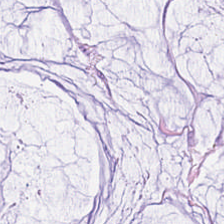H&E stain. 224×224 pixel tile. WSI patch — The tissue here is extracellular mucin.
